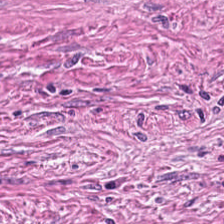H&E — cancer-associated stroma.
